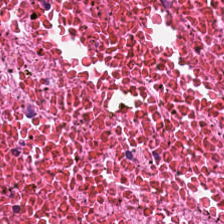FFPE tissue section. H&E. WSI patch.
Predominantly cellular debris.
